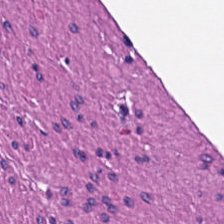Stain: H&E stain.
Tissue class: smooth-muscle tissue.
